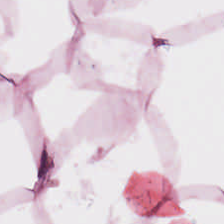The predominant tissue is adipocytes.
